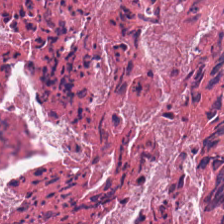Q: What tissue type is shown here?
A: This is necrotic debris.
